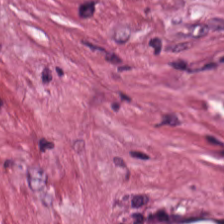Hematoxylin and eosin; FFPE. Classification = tumor-associated stroma.
